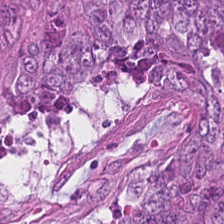Q: What is shown in this field?
A: It is malignant epithelium.
